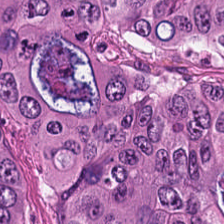Brightfield microscopy. Hematoxylin and eosin. This field is malignant epithelium.
